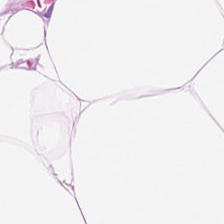H&E — Tissue type: adipose tissue.
